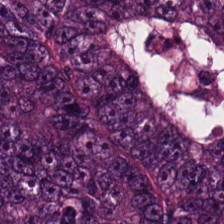Stain: H&E.
Resolution: 0.5 µm per pixel.
Tissue class: malignant epithelium.
